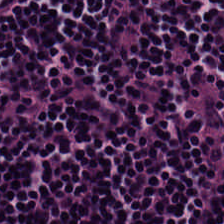Stain: H&E stain.
Tile size: 224×224 px patch.
Predominant tissue: lymphocytes.
